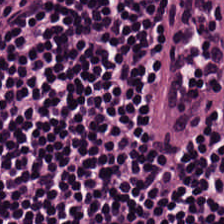H&E-stained tissue section. Lymphocyte aggregate.
